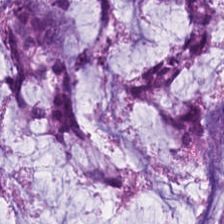H&E-stained tissue section — This field is extracellular mucin.
